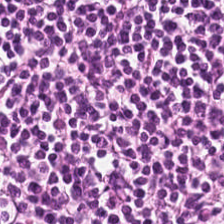H&E-stained tissue section — {"tissue_type": "lymphocytes"}
